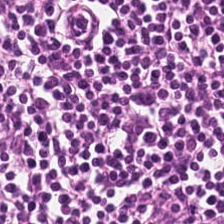Hematoxylin and eosin — Predominantly lymphocyte aggregate.
